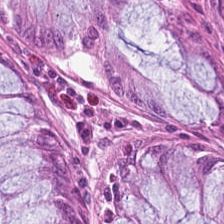{"tissue_type": "normal colonic mucosa"}
